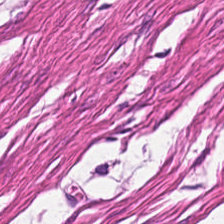H&E stain — Tissue class — muscularis.
